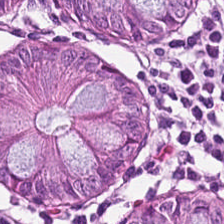0.5 µm/px · H&E.
Predominantly normal colon mucosa.
